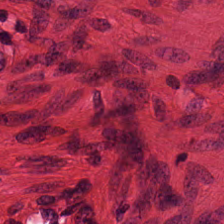H&E-stained tissue section — This field is smooth-muscle tissue.
